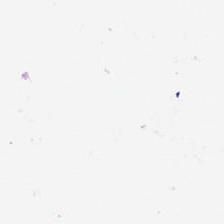H&E-stained tissue section — This patch shows empty background.
